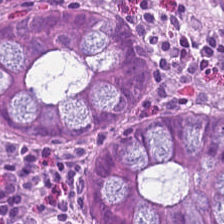224×224 px patch · H&E-stained tissue section · FFPE tissue section. The tissue here is benign colonic mucosa.
